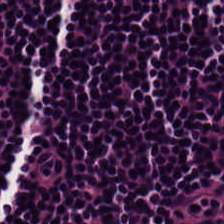H&E-stained tissue section. Showing lymphocyte aggregate.
